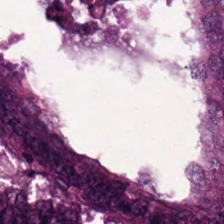H&E-stained tissue section.
Showing adenocarcinoma.
